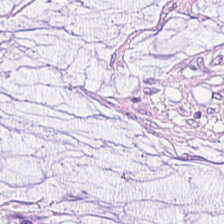0.5 µm/px; hematoxylin and eosin — Classification: extracellular mucin.
